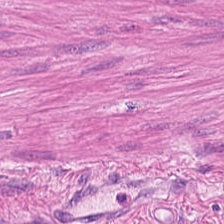224×224 px patch · hematoxylin and eosin · formalin-fixed paraffin-embedded section. Q: What type of tissue is this?
A: It is smooth-muscle tissue.
